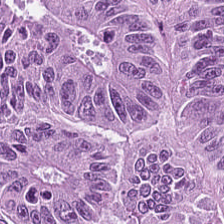H&E. Tissue class = colorectal adenocarcinoma.
